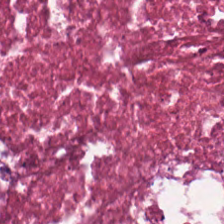H&E-stained tissue section. 0.5 µm per pixel. 224×224 pixel tile — The tissue class is necrotic debris.
